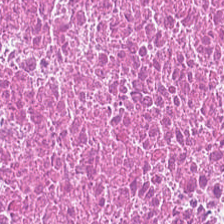Hematoxylin and eosin; WSI patch.
Impression → necrotic debris.
